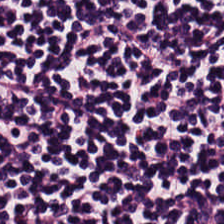0.5 microns per pixel; H&E-stained tissue section — Tissue class: lymphocyte aggregate.
